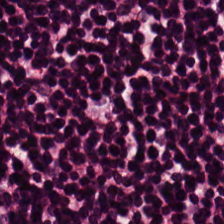224×224 pixel tile; FFPE tissue section; hematoxylin and eosin.
Q: What is shown here?
A: It is lymphocytes.
